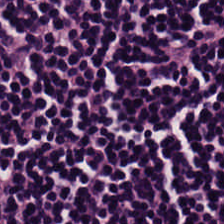Q: What is shown in this field?
A: The field shows lymphocytic infiltrate.
